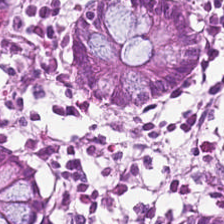Impression → normal colonic mucosa.
